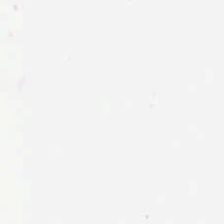Stain: hematoxylin and eosin.
Classification: no tissue.
